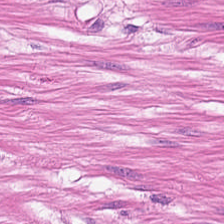0.5 µm per pixel · 224×224 px tile · H&E.
This field is smooth muscle.
